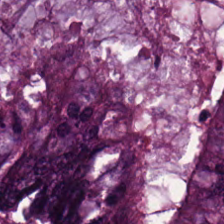Stain: H&E stain.
Classification: adenocarcinoma.
